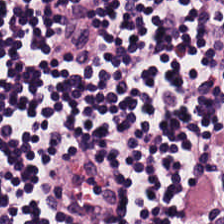Whole-slide-image patch; formalin-fixed paraffin-embedded section; hematoxylin and eosin.
Lymphocytes.
